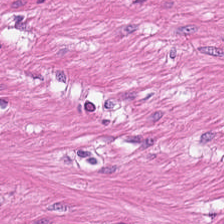Hematoxylin and eosin. Tissue class: smooth muscle.
